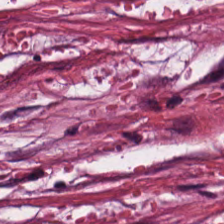Hematoxylin-and-eosin stained section · FFPE.
Q: What is the predominant tissue type?
A: The field shows desmoplastic stroma.
